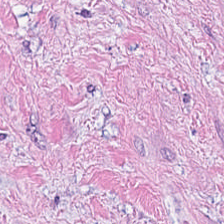FFPE tissue section; H&E. The predominant tissue is tumor stroma.
